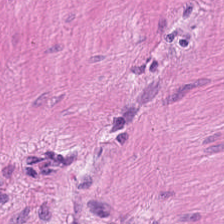Hematoxylin-and-eosin stained section; brightfield microscopy. The classification is smooth muscle.
